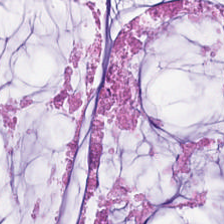Hematoxylin-and-eosin stained section. Mucin.
